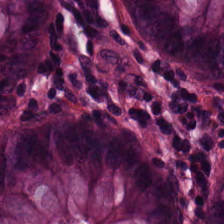Brightfield · 0.5 µm/px · hematoxylin-and-eosin stained section.
This patch shows normal colonic mucosa.
